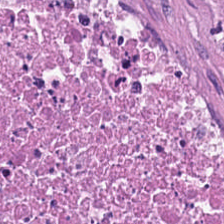Brightfield · H&E stain.
Q: What tissue is shown?
A: Necrotic debris.
